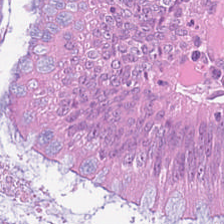H&E-stained tissue section. Colorectal adenocarcinoma epithelium.
